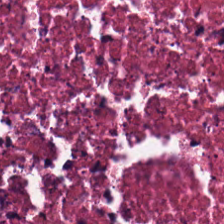Stain: hematoxylin-and-eosin stained section.
Tile size: 224×224 px patch.
Tissue class: cellular debris.
